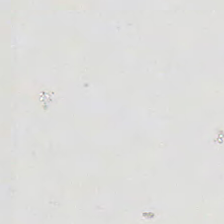Stain: H&E.
Field content: empty background.
